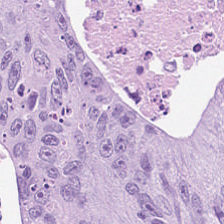Tissue class — adenocarcinoma.
